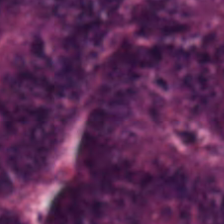Hematoxylin and eosin.
Tissue type: adenocarcinoma.
